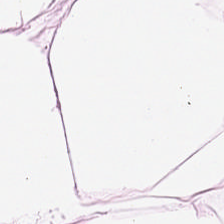H&E stain; 0.5 µm per pixel — Q: What is the predominant tissue type?
A: It is adipose tissue.
